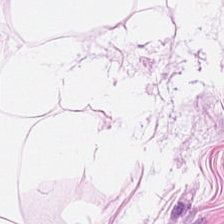224×224 pixel tile. Brightfield. Hematoxylin-and-eosin stained section. This patch shows fat tissue.
